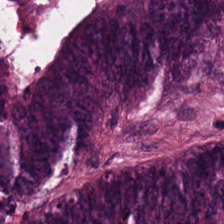Brightfield microscopy · H&E · 0.5 µm per pixel. Predominant tissue = colorectal adenocarcinoma.
